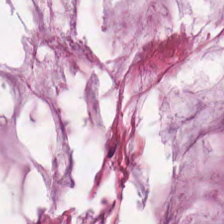Hematoxylin and eosin. Brightfield microscopy.
{"tissue_type": "extracellular mucin"}
